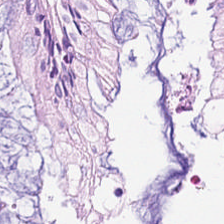This field is normal colonic mucosa.
